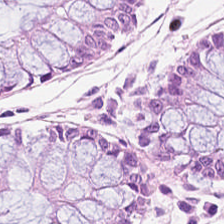Stain: H&E.
Resolution: 0.5 µm per pixel.
Tile size: 224×224 px patch.
Tissue: non-neoplastic colon mucosa.
